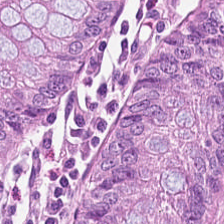Hematoxylin-and-eosin section: normal colon mucosa.
